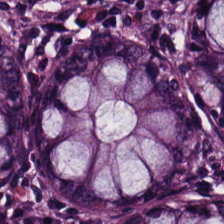Hematoxylin-and-eosin stained section. Impression — normal colon mucosa.
